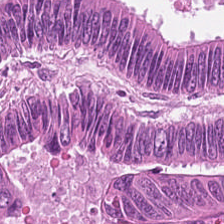Stain: H&E-stained tissue section.
Tissue class: malignant epithelium.
